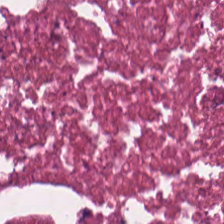Hematoxylin-and-eosin stained section. {"tissue_type": "necrotic debris"}
